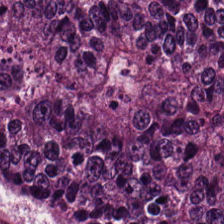Hematoxylin and eosin.
The tissue here is colorectal adenocarcinoma.
